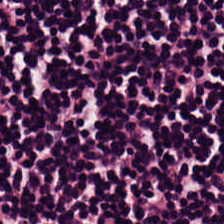224×224 px patch · H&E. Q: What is shown here?
A: The field shows lymphocytes.
